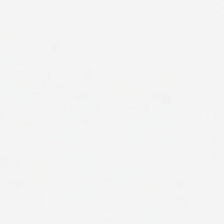H&E stain. {"content": "no tissue"}
